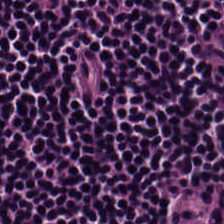H&E stain; FFPE tissue section.
Q: Classify this patch.
A: Lymphocytic infiltrate.
